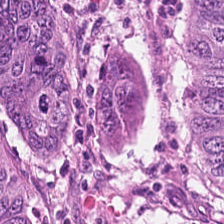Stain: hematoxylin-and-eosin stained section.
Predominant tissue: tumor epithelium.
